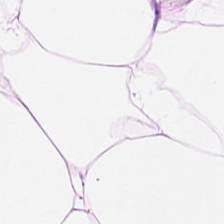H&E · 224×224 pixel tile · brightfield. Showing adipose.
